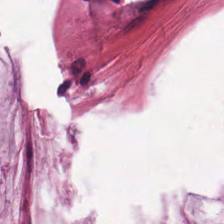Hematoxylin and eosin. This field is mucus.
